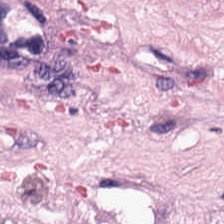H&E-stained tissue section. This patch shows tumor-associated stroma.
